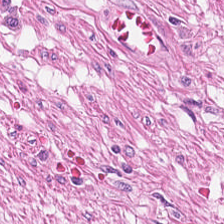Hematoxylin and eosin; 0.5 µm/px. Q: Identify the tissue.
A: This is smooth-muscle tissue.
